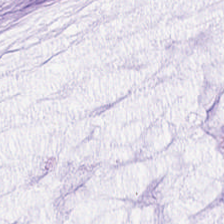Hematoxylin-and-eosin stained section · FFPE tissue section · 0.5 µm/px. The tissue class is extracellular mucin.
